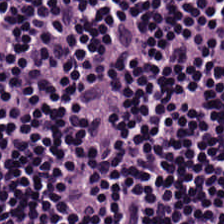Brightfield microscopy; FFPE tissue section; hematoxylin-and-eosin stained section.
This patch shows lymphocytes.
